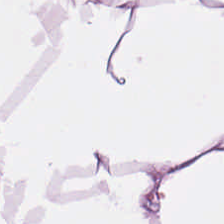Hematoxylin and eosin. {"tissue_type": "fat tissue"}
